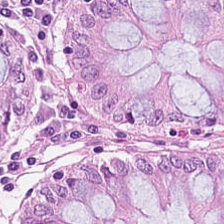WSI patch · hematoxylin-and-eosin stained section — Histology — benign colonic mucosa.
